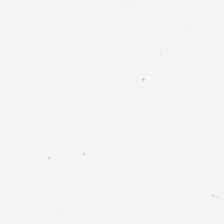Background (no tissue).
